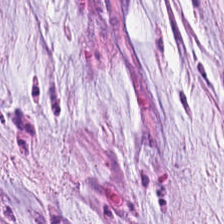Brightfield microscopy. 0.5 µm/px. H&E stain.
This field is mucin.
